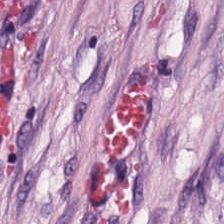This field is desmoplastic stroma.
